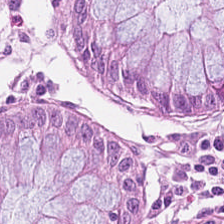Formalin-fixed paraffin-embedded section; 0.5 µm per pixel; hematoxylin-and-eosin stained section. Classification: non-neoplastic colon mucosa.
